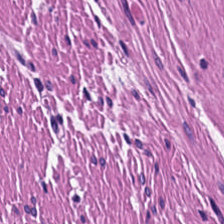H&E-stained tissue section. This patch shows smooth muscle.
